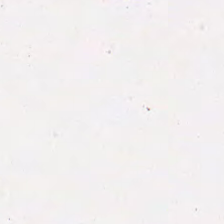Hematoxylin and eosin. {"tissue_type": "necrotic debris"}
